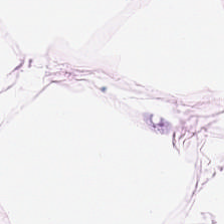Predominantly fat tissue.
